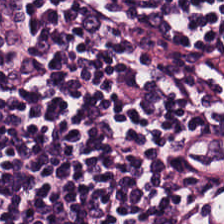Hematoxylin and eosin. Predominantly lymphocytes.
